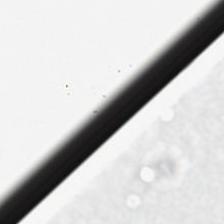224×224 px tile; H&E. This field is background (no tissue).
